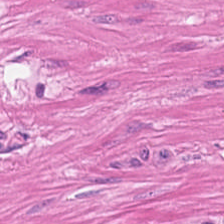0.5 µm/px; H&E. {"tissue_type": "muscularis"}
